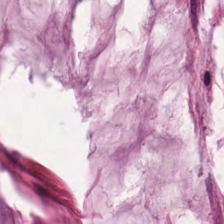20× equivalent magnification. H&E stain — Finding — mucin.
